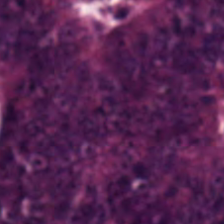H&E stain; FFPE tissue section; 0.5 µm/px.
{"tissue_type": "colorectal adenocarcinoma"}
